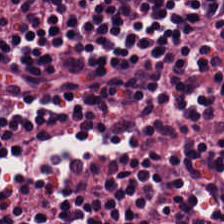WSI patch · H&E-stained tissue section. The tissue here is lymphocytes.
